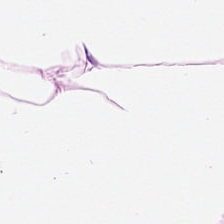Stain: H&E-stained tissue section.
Resolution: 0.5 µm/px.
Tile size: 224×224 px patch.
Classification: adipocytes.
